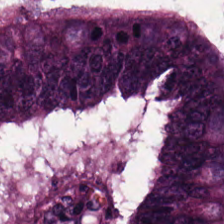224×224 pixel tile · 20× equivalent magnification · H&E stain — Predominant tissue: colorectal adenocarcinoma epithelium.
